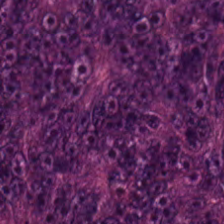Stain: H&E-stained tissue section.
Tissue: adenocarcinoma.
